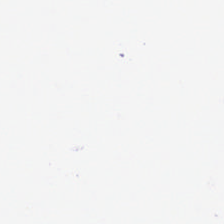Brightfield microscopy; H&E — Q: Classify this patch.
A: Empty background.
